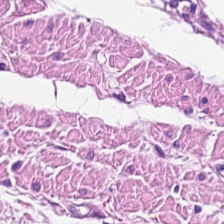Hematoxylin and eosin · WSI patch · FFPE tissue section — Q: What is the predominant tissue type?
A: It is smooth muscle.
